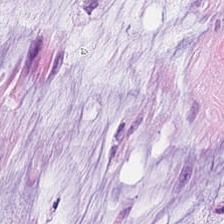H&E-stained tissue section. The predominant tissue is mucin.
